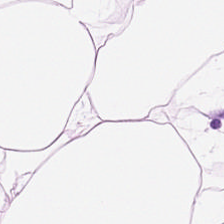Hematoxylin and eosin — This patch shows adipose tissue.
